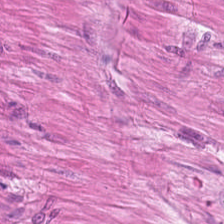224×224 px patch · hematoxylin-and-eosin stained section — This field is smooth-muscle tissue.
